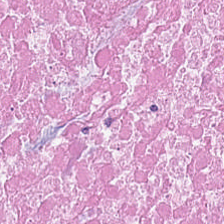H&E — cellular debris.
